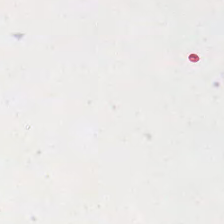H&E-stained tissue section — Finding — background (no tissue).
